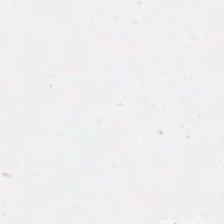Hematoxylin and eosin · 0.5 µm/px · FFPE tissue section.
Q: What does this patch show?
A: This is background.
